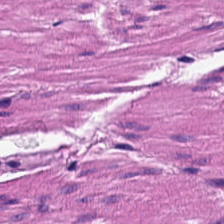H&E stain.
Predominant tissue — muscularis.
